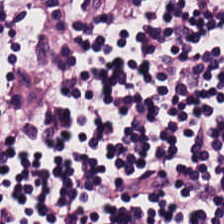H&E — Showing lymphocyte aggregate.
